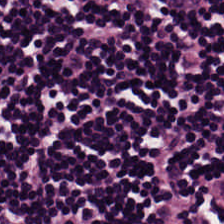224×224 px tile. Hematoxylin and eosin. The predominant tissue is lymphocytes.
